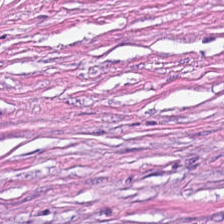H&E stain; 224×224 pixel tile — Q: What does this patch show?
A: The field shows tumor-associated stroma.
